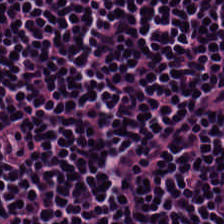Brightfield; hematoxylin and eosin — Tissue class: lymphoid infiltrate.
